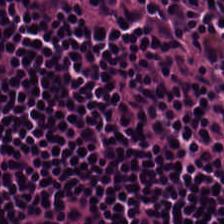The predominant tissue is lymphoid infiltrate.
